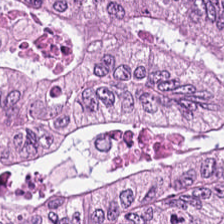0.5 microns per pixel. Hematoxylin and eosin — Classification = tumor epithelium.
